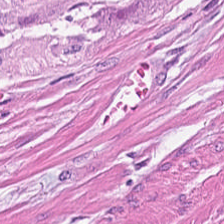H&E. Predominant tissue = muscularis.
